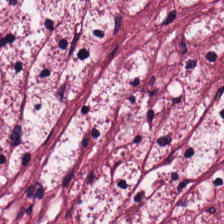H&E stain.
Desmoplastic stroma.
